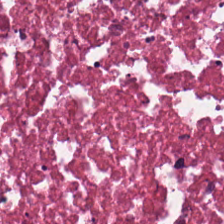Stain: H&E-stained tissue section.
Tissue class: cellular debris.
